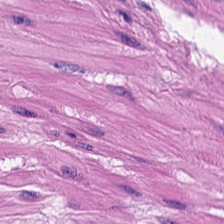H&E.
Q: Classify this patch.
A: The field shows muscularis.
